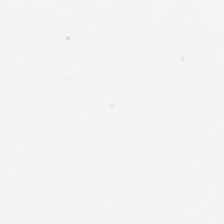H&E stain · 224×224 px patch · brightfield — Empty field — background (no tissue).
